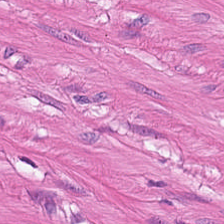0.5 µm/px; hematoxylin-and-eosin stained section; FFPE — Muscularis.
